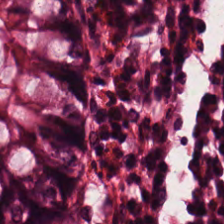H&E stain. Histology → normal colon mucosa.
